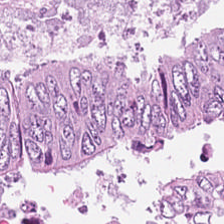Showing adenocarcinoma.
